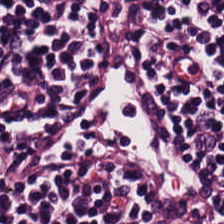Hematoxylin-and-eosin stained section. Finding — lymphoid infiltrate.
